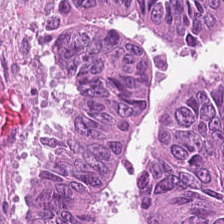FFPE; H&E — Q: What is shown here?
A: This is colorectal adenocarcinoma.
